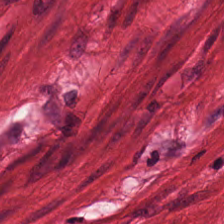The predominant tissue is smooth muscle.
